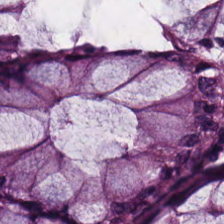Showing benign colonic mucosa.
